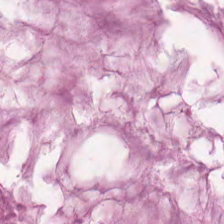Formalin-fixed paraffin-embedded section; 0.5 µm per pixel; H&E stain. This patch shows mucus.
